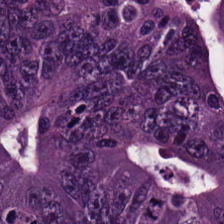H&E.
The predominant tissue is colorectal adenocarcinoma epithelium.
